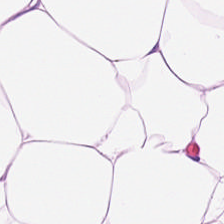H&E · formalin-fixed paraffin-embedded section. This patch shows adipose tissue.
